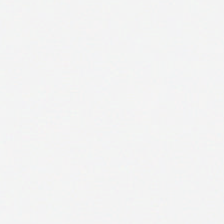Hematoxylin and eosin.
Q: What is shown in this field?
A: The field shows no tissue.
